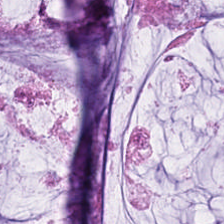Hematoxylin-and-eosin stained section · FFPE — Q: What type of tissue is this?
A: It is mucus.
